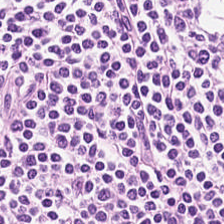H&E — Showing lymphocyte aggregate.
